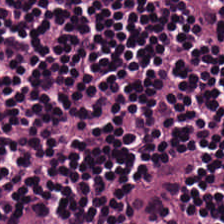H&E stain · 0.5 microns per pixel · FFPE tissue section.
Lymphoid infiltrate.
